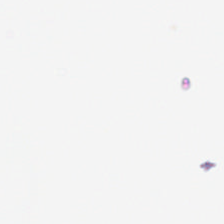Hematoxylin and eosin. This patch shows background.
